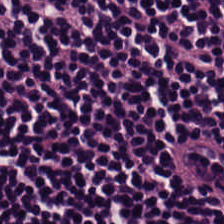Hematoxylin-and-eosin section: lymphocytic infiltrate.
